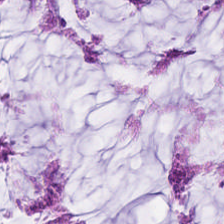H&E. 224×224 pixel tile.
Tissue: mucus.
